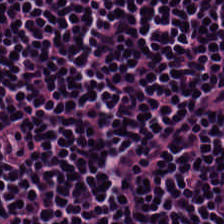224×224 px tile. H&E-stained tissue section.
Histology → lymphoid infiltrate.
